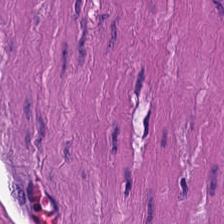H&E-stained tissue section — The classification is muscularis.
